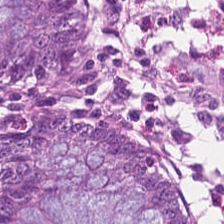H&E.
The tissue here is normal colonic mucosa.
